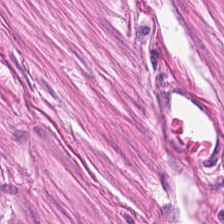Hematoxylin and eosin.
Showing smooth muscle.
